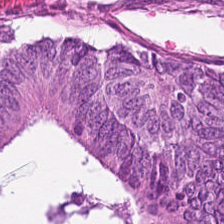H&E-stained tissue section · whole-slide-image patch — This patch shows tumor epithelium.
